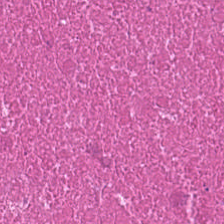Hematoxylin and eosin · whole-slide-image patch — The tissue here is necrotic debris.
